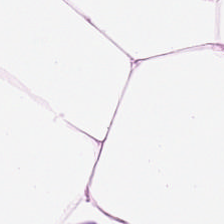224×224 px tile; hematoxylin-and-eosin stained section — Finding → adipocytes.
